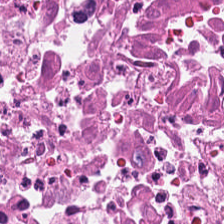Brightfield microscopy · H&E stain. The predominant tissue is cellular debris.
